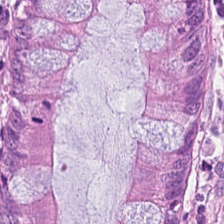Stain: H&E stain.
Tile size: 224×224 px tile.
Preparation: FFPE.
Classification: normal colon mucosa.
